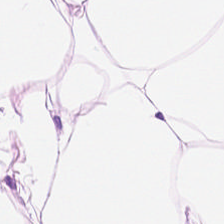Hematoxylin-and-eosin section: adipose tissue.
